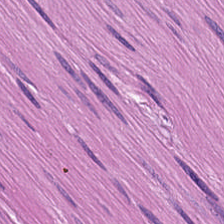Stain: H&E-stained tissue section.
Preparation: formalin-fixed paraffin-embedded section.
Acquisition: WSI patch.
Classification: smooth muscle.
